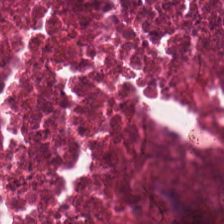Hematoxylin-and-eosin stained section; 0.5 µm/px; brightfield — Tissue type = cellular debris.
